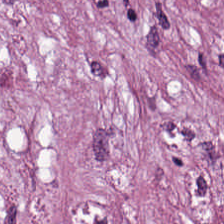H&E-stained tissue section. Tumor-associated stroma.
